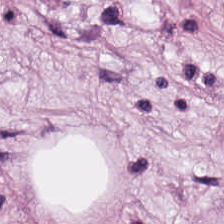Stain: H&E stain.
Predominant tissue: fat tissue.
